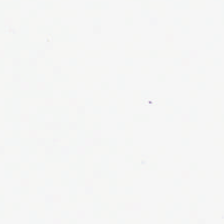H&E.
Background (no tissue).
